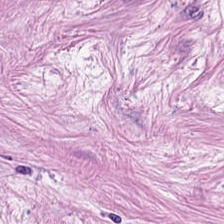Classification = tumor stroma.
